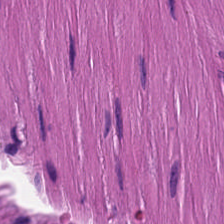Stain: H&E.
Tissue type: smooth muscle.
